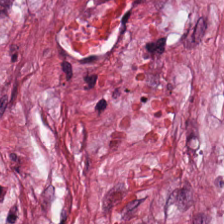FFPE; hematoxylin-and-eosin stained section; brightfield microscopy — Tissue class — desmoplastic stroma.
